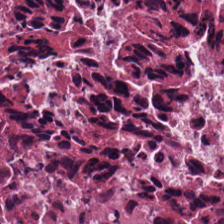Hematoxylin and eosin. The tissue here is debris.
